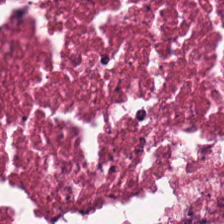The predominant tissue is necrotic debris.
